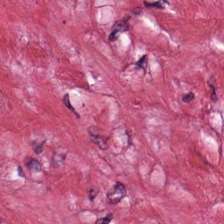Predominantly desmoplastic stroma.
